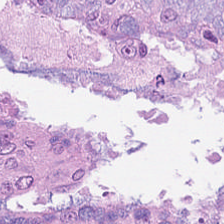H&E-stained tissue section; 224×224 px tile — Predominantly malignant epithelium.
